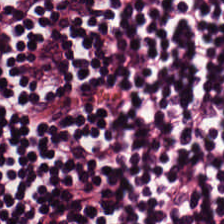Hematoxylin-and-eosin stained section; 0.5 µm per pixel.
The predominant tissue is lymphocytic infiltrate.
